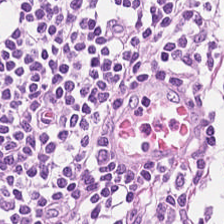Hematoxylin-and-eosin stained section. 224×224 px patch. Brightfield microscopy — Q: What tissue is shown?
A: The field shows lymphocyte aggregate.
